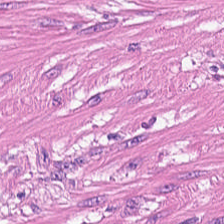Hematoxylin-and-eosin stained section — Predominant tissue: muscularis.
